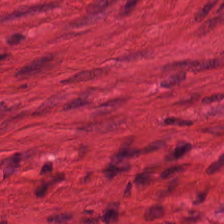H&E-stained tissue section. Predominantly smooth-muscle tissue.
